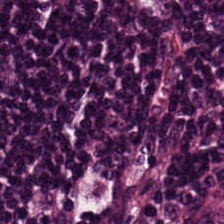H&E-stained tissue section · 20× equivalent magnification · brightfield microscopy. Classification — lymphoid infiltrate.
